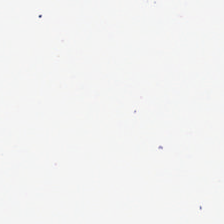Content: background (no tissue).
